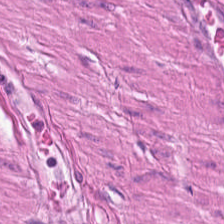0.5 µm/px; H&E-stained tissue section; 224×224 pixel tile. Predominantly smooth-muscle tissue.
